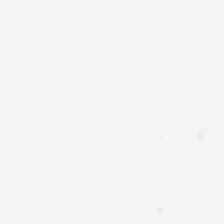FFPE; hematoxylin and eosin; 20× equivalent magnification — Q: What is shown here?
A: It is empty background.
